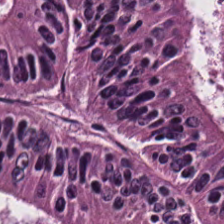H&E.
This patch shows colorectal adenocarcinoma.
